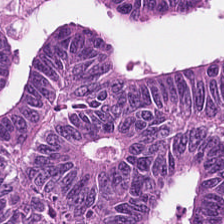Classification = colorectal adenocarcinoma epithelium.
